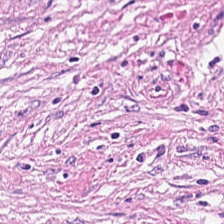0.5 microns per pixel; hematoxylin-and-eosin stained section. Tissue class: tumor-associated stroma.
